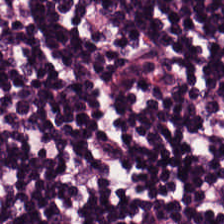This field is lymphoid infiltrate.
